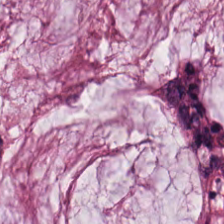H&E — The tissue class is mucus.
